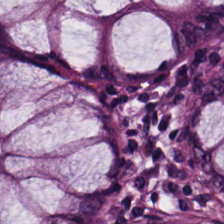H&E; FFPE. Histology → normal colonic mucosa.
